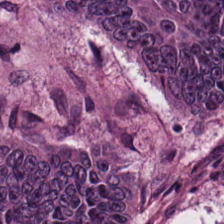Tissue type = tumor epithelium.
